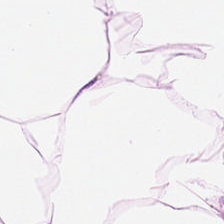Showing fat tissue.
